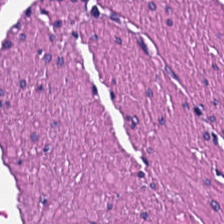H&E stain.
The predominant tissue is smooth muscle.
